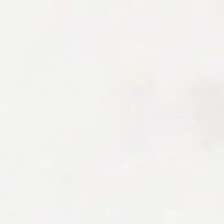Hematoxylin and eosin.
Field content: background.
